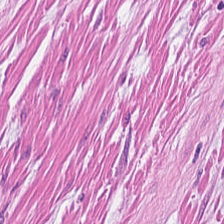H&E stain. 224×224 px tile — This patch shows smooth-muscle tissue.
